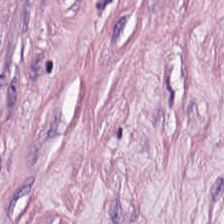H&E stain. Showing desmoplastic stroma.
